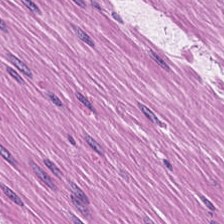Hematoxylin-and-eosin stained section · 20× equivalent magnification. Q: What tissue type is shown here?
A: Smooth-muscle tissue.
